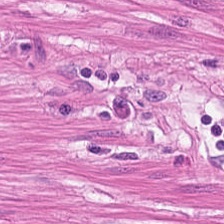Hematoxylin-and-eosin stained section. Q: What is shown in this field?
A: Muscularis.
